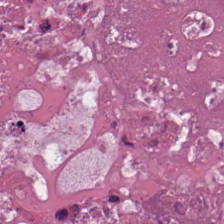Stain: H&E stain.
Preparation: FFPE.
Resolution: 0.5 µm/px.
Tissue: necrotic debris.
